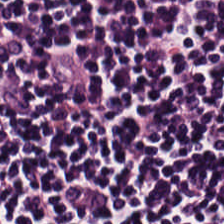Hematoxylin-and-eosin stained section — Q: Classify this patch.
A: The field shows lymphocytic infiltrate.
